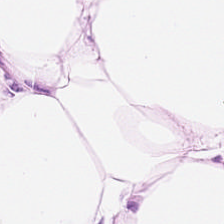H&E-stained tissue section · FFPE tissue section · brightfield microscopy. Showing adipocytes.
